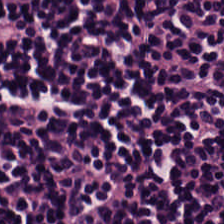Predominant tissue: lymphoid infiltrate.
